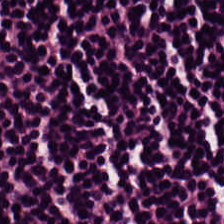H&E-stained tissue section. 224×224 px patch. Formalin-fixed paraffin-embedded section. Q: What does this patch show?
A: Lymphocytic infiltrate.
